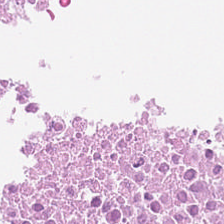H&E — Tissue class — necrotic debris.
